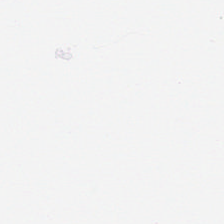H&E.
The classification is no tissue.
